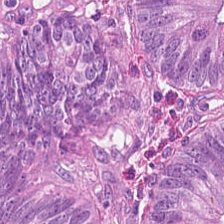Hematoxylin and eosin; formalin-fixed paraffin-embedded section.
Tissue type: colorectal adenocarcinoma.
